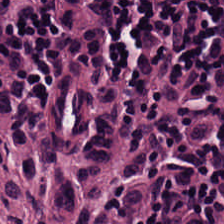H&E-stained section; the field shows lymphoid infiltrate.
